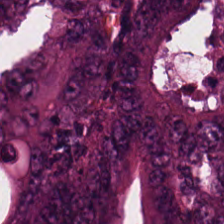H&E-stained tissue section showing tumor epithelium.
